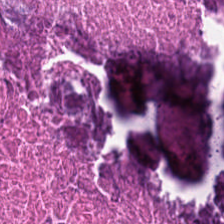Formalin-fixed paraffin-embedded section; brightfield microscopy; H&E.
{"tissue_type": "debris"}
